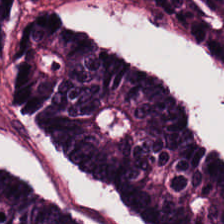H&E-stained tissue section · 224×224 pixel tile.
The predominant tissue is colorectal adenocarcinoma.
